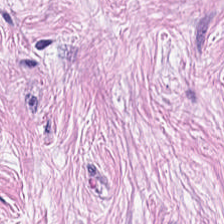Hematoxylin-and-eosin stained section. Cancer-associated stroma.
